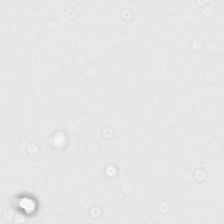Hematoxylin-and-eosin stained section.
The classification is background (no tissue).
